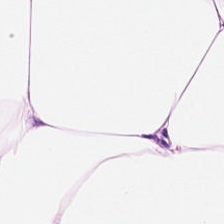This patch shows adipocytes.
